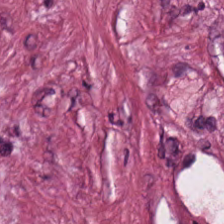Stain: H&E stain.
Classification: tumor-associated stroma.
